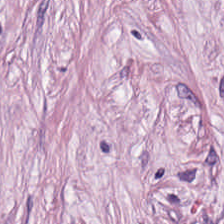Q: What is shown in this field?
A: This is tumor-associated stroma.
